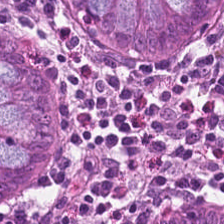Q: What is the predominant tissue type?
A: It is non-neoplastic colon mucosa.
